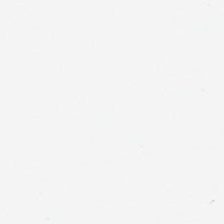H&E-stained tissue section.
Background — no tissue in this field.
